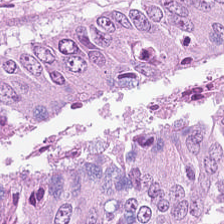FFPE tissue section. H&E-stained tissue section. 224×224 px patch.
Showing tumor epithelium.
